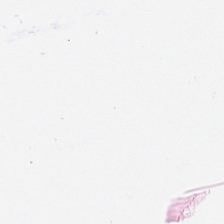Hematoxylin-and-eosin stained section. Predominantly adipose tissue.
